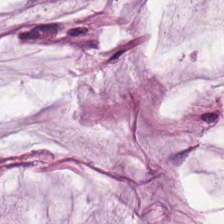Stain: H&E.
Classification: mucus.
